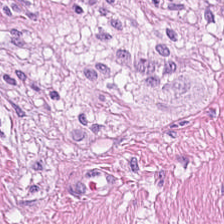Formalin-fixed paraffin-embedded section. H&E stain. 224×224 px tile — The predominant tissue is muscularis.
